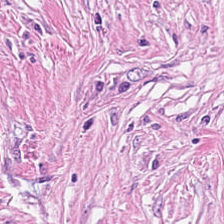H&E — Predominant tissue — tumor-associated stroma.
